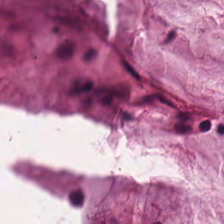Brightfield microscopy. Hematoxylin-and-eosin stained section — Predominant tissue: mucus.
